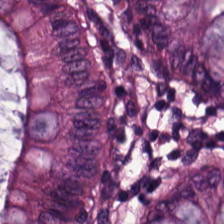{"tissue_type": "benign colonic mucosa"}
